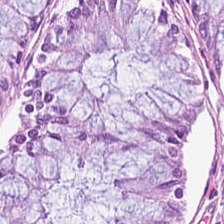H&E stain.
This patch shows normal colonic mucosa.
